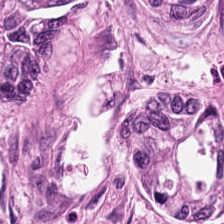Hematoxylin and eosin — Tissue class: malignant epithelium.
